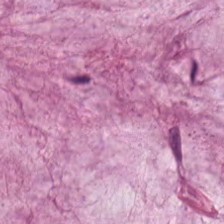Stain: hematoxylin and eosin.
Tissue class: mucin.
